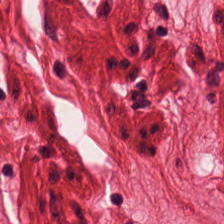Tissue type — muscularis.
